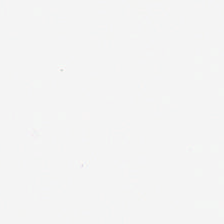Hematoxylin-and-eosin stained section.
Background (no tissue).
